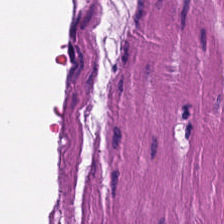Hematoxylin-and-eosin stained section · FFPE tissue section · 224×224 pixel tile — The tissue type is smooth-muscle tissue.
